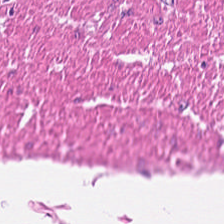Hematoxylin-and-eosin stained section.
Tissue class: muscularis.
